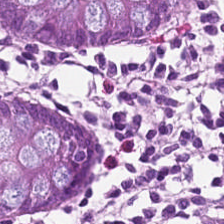H&E. Q: What does this patch show?
A: This is non-neoplastic colon mucosa.
